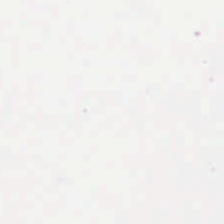Content = background (no tissue).
